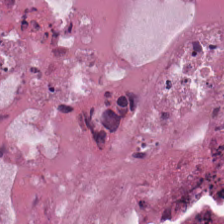Predominant tissue — debris.
